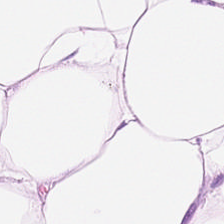H&E-stained tissue section — Predominant tissue — adipose.
